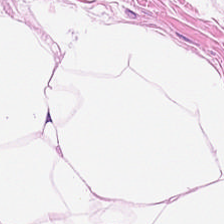Hematoxylin-and-eosin section: adipose tissue.
